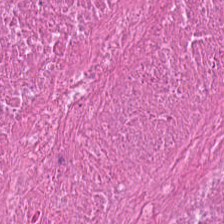H&E stain.
This field is necrotic debris.
